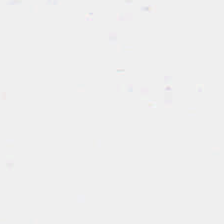No tissue.
